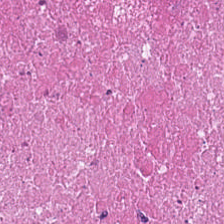H&E. Formalin-fixed paraffin-embedded section — Showing debris.
